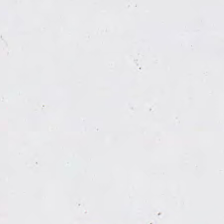H&E-stained tissue section. Empty field — no tissue.
